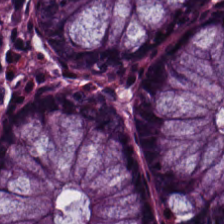Formalin-fixed paraffin-embedded section; H&E stain — Q: What type of tissue is this?
A: Normal colon mucosa.
